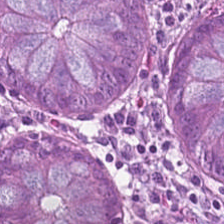Stain: H&E-stained tissue section.
Predominant tissue: benign colonic mucosa.
